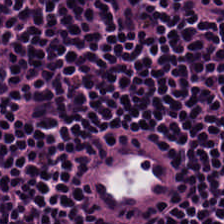FFPE. 0.5 µm/px. H&E-stained tissue section. Tissue — lymphocytes.
